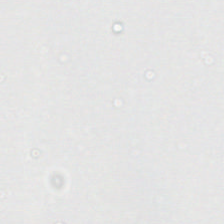H&E. Classification = background (no tissue).
